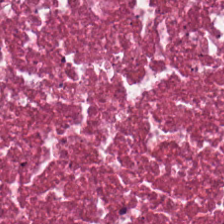Q: Identify the tissue.
A: The field shows necrotic debris.
